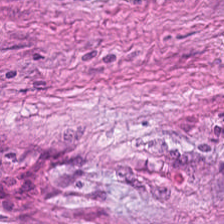Hematoxylin and eosin · formalin-fixed paraffin-embedded section — {"tissue_type": "tumor stroma"}
